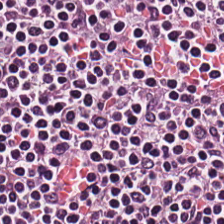H&E. 224×224 px patch. Formalin-fixed paraffin-embedded section. Lymphocytic infiltrate.
